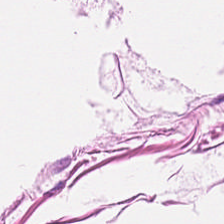H&E; FFPE — Smooth muscle.
